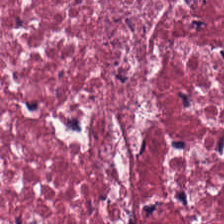H&E — desmoplastic stroma.
